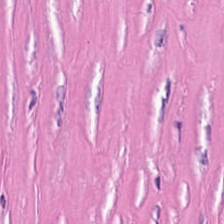H&E stain. Brightfield microscopy. 224×224 pixel tile.
Tissue class = cancer-associated stroma.
